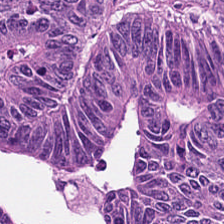FFPE tissue section. H&E-stained tissue section. WSI patch — The predominant tissue is tumor epithelium.
